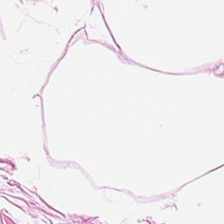Adipose.
